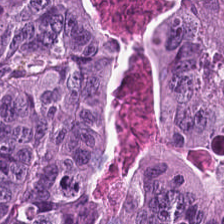H&E · FFPE tissue section · WSI patch — Showing adenocarcinoma.
